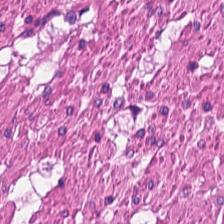Stain: hematoxylin and eosin.
Tissue type: muscularis.
